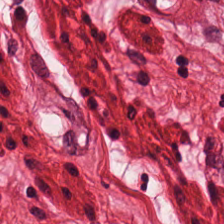Q: What type of tissue is this?
A: This is smooth muscle.
